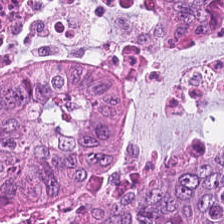{"tissue_type": "colorectal adenocarcinoma epithelium"}
